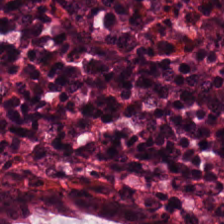H&E-stained tissue section.
This field is normal colon mucosa.
